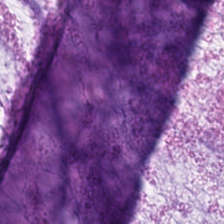Hematoxylin-and-eosin stained section — This field is mucin.
